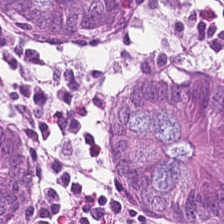H&E stain · 20× equivalent magnification — Tissue class: normal colonic mucosa.
